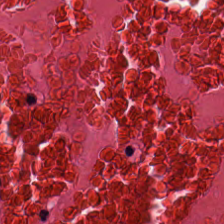H&E. Q: Classify this patch.
A: The field shows necrotic debris.
